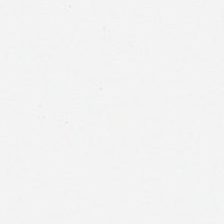Q: What is shown in this field?
A: The field shows background.
